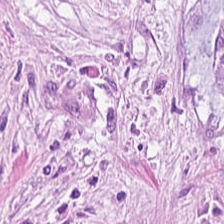H&E stain — Q: What is the predominant tissue type?
A: This is cancer-associated stroma.
